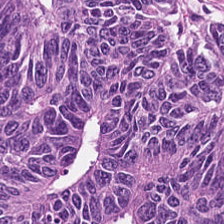Stain: hematoxylin and eosin.
Classification: colorectal adenocarcinoma epithelium.
